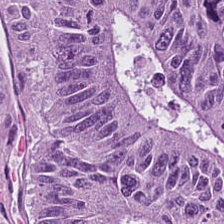Stain: hematoxylin-and-eosin stained section.
Tissue class: malignant epithelium.
